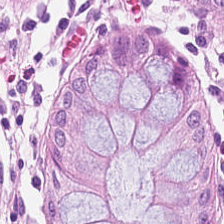Stain: hematoxylin and eosin.
Tile size: 224×224 px tile.
Tissue type: non-neoplastic colon mucosa.
